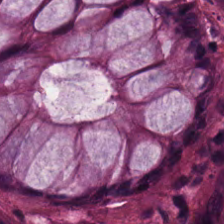H&E — Q: What tissue is shown?
A: The field shows normal colonic mucosa.
